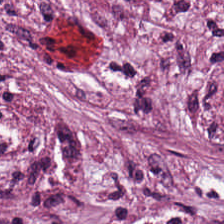Stain: H&E.
Classification: cancer-associated stroma.
